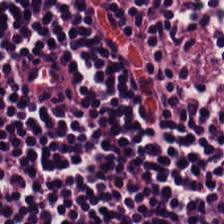224×224 pixel tile; H&E. {"tissue_type": "lymphocyte aggregate"}
